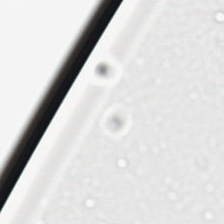H&E · formalin-fixed paraffin-embedded section — Background — no tissue in this field.
